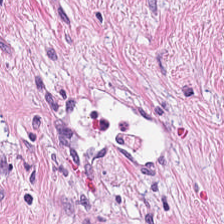H&E — Q: Identify the tissue.
A: The field shows tumor-associated stroma.
